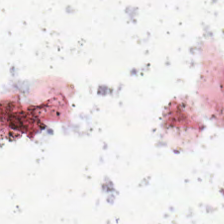Hematoxylin and eosin.
No tissue.
